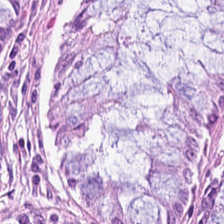Formalin-fixed paraffin-embedded section; H&E. Q: What tissue type is shown here?
A: This is normal colon mucosa.
